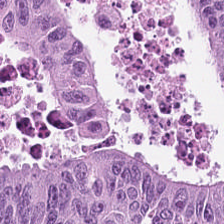Hematoxylin and eosin.
Adenocarcinoma.
